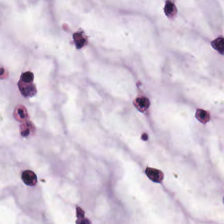Stain: H&E stain.
Tissue: mucus.
